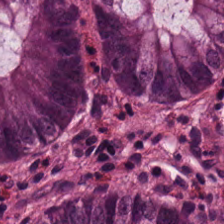224×224 pixel tile; hematoxylin and eosin; brightfield microscopy.
Finding — normal colonic mucosa.
